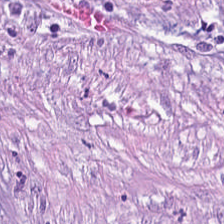{"tissue_type": "cancer-associated stroma"}
